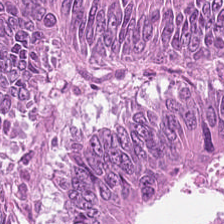This patch shows colorectal adenocarcinoma epithelium.
